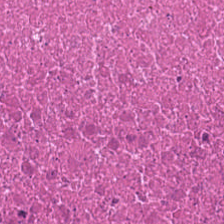Hematoxylin-and-eosin stained section.
Finding — cellular debris.
